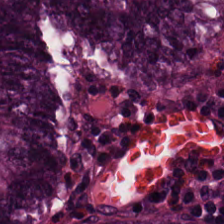Q: What is the predominant tissue type?
A: The field shows normal colon mucosa.
